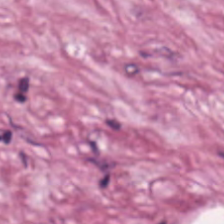0.5 µm per pixel · hematoxylin-and-eosin stained section — Finding → tumor-associated stroma.
